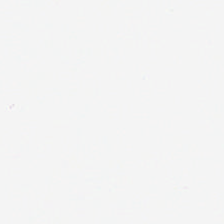Hematoxylin-and-eosin stained section.
Q: Classify this patch.
A: Background.
